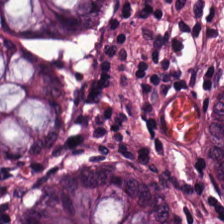Stain: H&E-stained tissue section.
Tissue class: normal colon mucosa.
